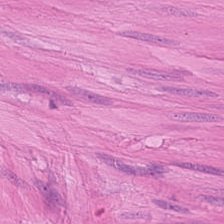H&E stain · formalin-fixed paraffin-embedded section — Histology — smooth-muscle tissue.
